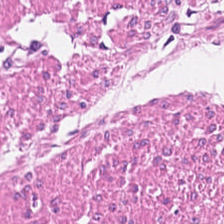Hematoxylin-and-eosin stained section. WSI patch. 224×224 px tile. Q: What type of tissue is this?
A: It is smooth muscle.
